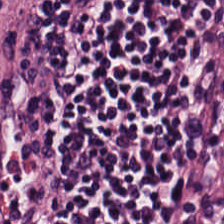Hematoxylin and eosin — The predominant tissue is lymphocytes.
